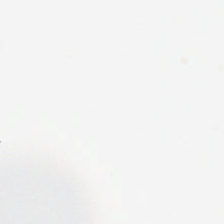H&E stain. Background — no tissue in this field.
